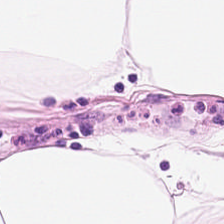Stain: H&E.
Resolution: 0.5 µm per pixel.
Tissue class: adipose.
